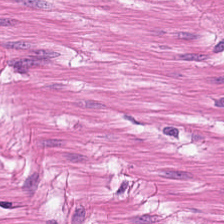Hematoxylin and eosin.
The tissue here is smooth muscle.
